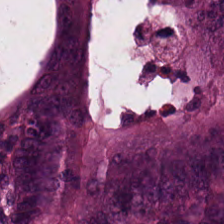Hematoxylin-and-eosin stained section.
Impression → colorectal adenocarcinoma epithelium.
